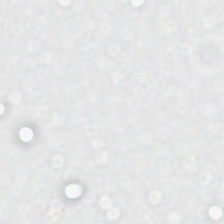The classification is background.
